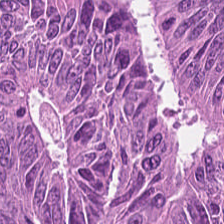Hematoxylin-and-eosin stained section — Classification — adenocarcinoma.
